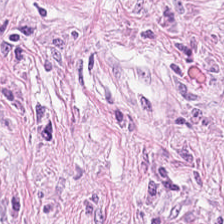The predominant tissue is tumor-associated stroma.
